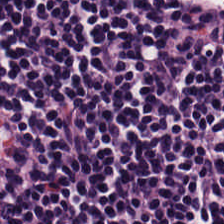H&E-stained tissue section. Q: Classify this patch.
A: Lymphocytes.
